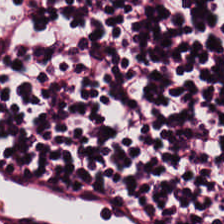H&E-stained tissue section.
Impression → lymphocyte aggregate.
